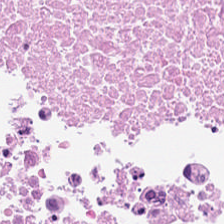224×224 px patch. H&E stain. The predominant tissue is cellular debris.
